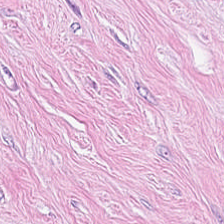0.5 microns per pixel. H&E stain — Cancer-associated stroma.
